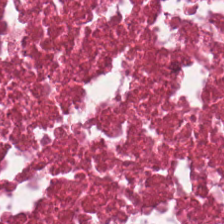0.5 µm/px; H&E stain — Q: What does this patch show?
A: This is debris.
